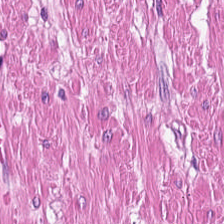Stain: H&E.
Predominant tissue: smooth muscle.
